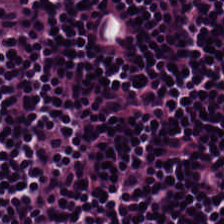Q: What does this patch show?
A: It is lymphoid infiltrate.
